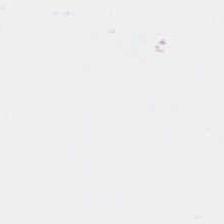H&E-stained tissue section — This field is background (no tissue).
